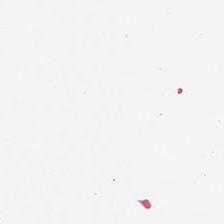Stain: H&E.
Content: no tissue.
